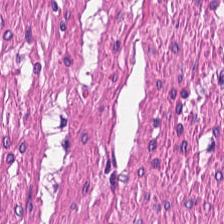H&E-stained tissue section. 224×224 pixel tile. Smooth-muscle tissue.
